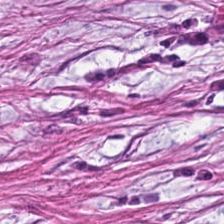H&E stain — The predominant tissue is tumor stroma.
